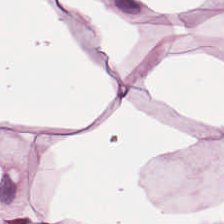FFPE tissue section · hematoxylin and eosin · 224×224 pixel tile. The tissue here is adipose.
